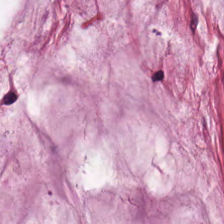Histology → mucin.
